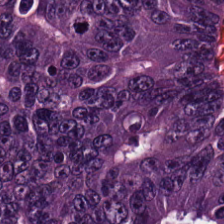H&E stain.
Showing colorectal adenocarcinoma epithelium.
